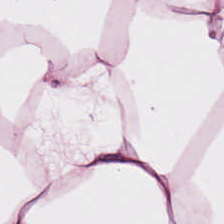224×224 px tile; H&E-stained tissue section — Predominantly fat tissue.
